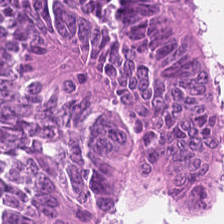Stain: hematoxylin-and-eosin stained section.
Preparation: FFPE tissue section.
Tissue type: adenocarcinoma.
